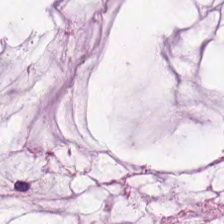Hematoxylin-and-eosin stained section · whole-slide-image patch.
Histology — mucin.
